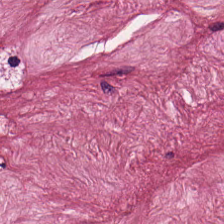Hematoxylin-and-eosin section: tumor stroma.
